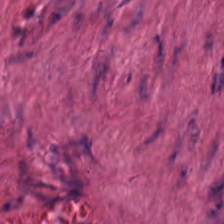H&E — muscularis.
